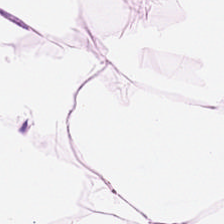Hematoxylin-and-eosin stained section — Predominantly adipose.
